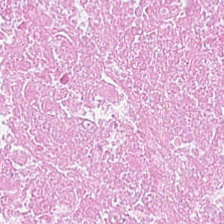{"tissue_type": "debris"}
